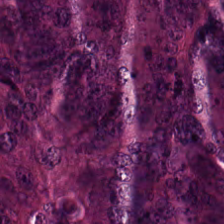Hematoxylin and eosin; 224×224 px patch — The predominant tissue is colorectal adenocarcinoma epithelium.
